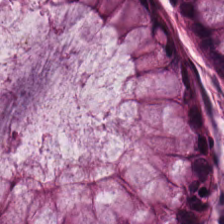H&E-stained tissue section; brightfield — Q: What tissue type is shown here?
A: It is non-neoplastic colon mucosa.
